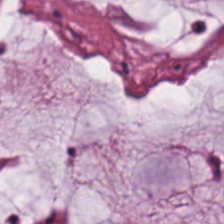Brightfield; H&E stain; FFPE — Classification: mucin.
